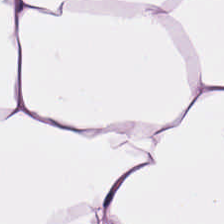H&E. Q: What is shown in this field?
A: This is adipose.
